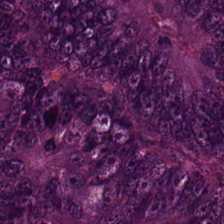Predominant tissue: tumor epithelium.
